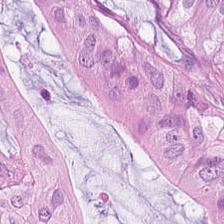Stain: hematoxylin-and-eosin stained section.
Tile size: 224×224 pixel tile.
Predominant tissue: adenocarcinoma.
